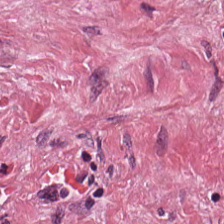H&E-stained tissue section. 224×224 px tile — {"tissue_type": "tumor stroma"}
